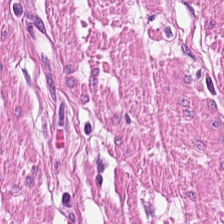Tissue type: muscularis.
